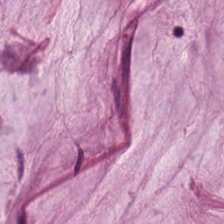H&E; formalin-fixed paraffin-embedded section.
{"tissue_type": "extracellular mucin"}
